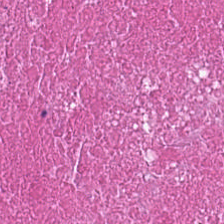Stain: hematoxylin-and-eosin stained section.
Tissue type: debris.
